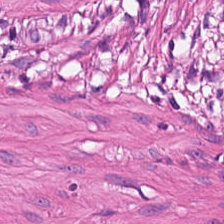Hematoxylin and eosin.
The predominant tissue is muscularis.
